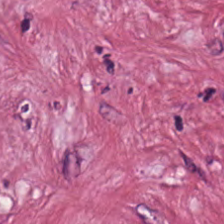H&E-stained tissue section; brightfield microscopy. Q: What is the predominant tissue type?
A: This is tumor stroma.
